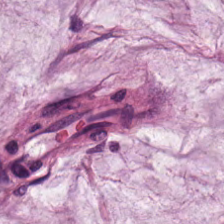H&E-stained section; the field shows mucin.
